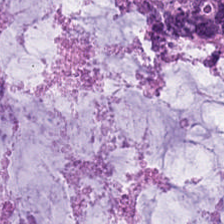H&E-stained tissue section. Formalin-fixed paraffin-embedded section. 0.5 µm per pixel.
Tissue — extracellular mucin.
